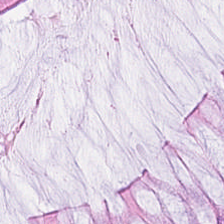Hematoxylin and eosin. Q: What tissue type is shown here?
A: It is normal colon mucosa.
